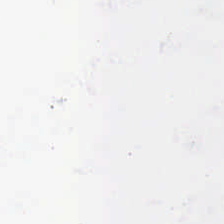Brightfield microscopy · hematoxylin and eosin — Background — no tissue in this field.
